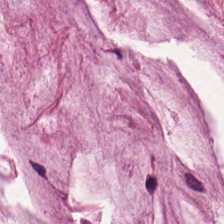Hematoxylin and eosin; 20× equivalent magnification.
Histology → mucus.
